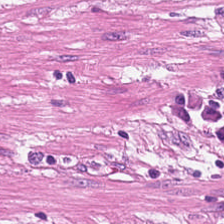Stain: H&E stain.
Tile size: 224×224 px patch.
Classification: smooth-muscle tissue.
